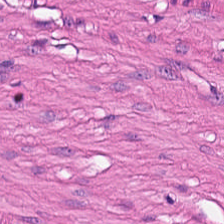H&E.
Smooth-muscle tissue.
